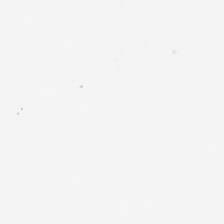H&E stain. Brightfield. This field is background (no tissue).
